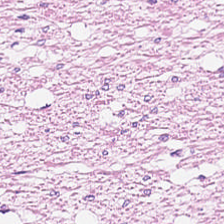FFPE tissue section; 0.5 microns per pixel; hematoxylin-and-eosin stained section.
Q: What type of tissue is this?
A: This is muscularis.
